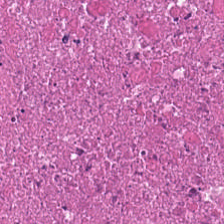Stain: H&E stain.
Classification: necrotic debris.
